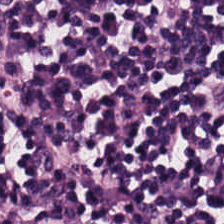Stain: H&E stain.
Tile size: 224×224 px tile.
Resolution: 0.5 microns per pixel.
Tissue type: lymphocyte aggregate.
